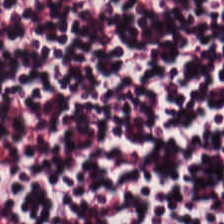Tissue type = lymphoid infiltrate.
